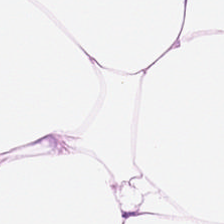Stain: H&E-stained tissue section.
Tissue class: adipocytes.
